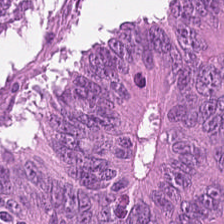H&E · WSI patch — This patch shows adenocarcinoma.
